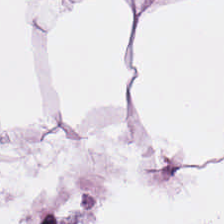Hematoxylin and eosin.
Predominant tissue — adipose tissue.
